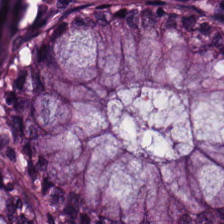Whole-slide-image patch · H&E-stained tissue section. Showing normal colon mucosa.
